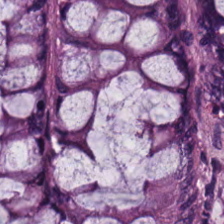The tissue type is normal colon mucosa.
